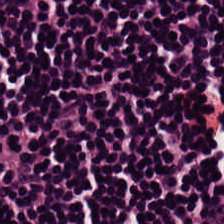Hematoxylin-and-eosin stained section — The tissue is lymphocyte aggregate.
